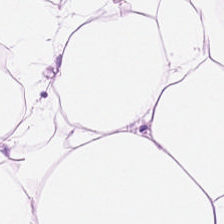H&E-stained tissue section.
Fat tissue.
